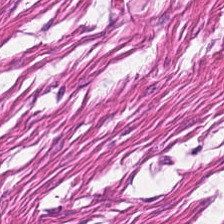Hematoxylin-and-eosin stained section.
Showing muscularis.
